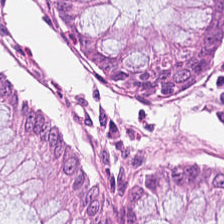Hematoxylin and eosin — The predominant tissue is normal colon mucosa.
